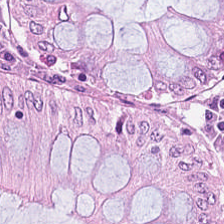Hematoxylin-and-eosin stained section; WSI patch; 224×224 px patch — This field is benign colonic mucosa.
